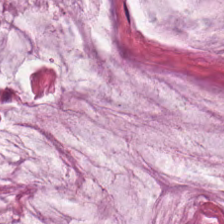224×224 px patch. Hematoxylin and eosin.
{"tissue_type": "mucin"}
